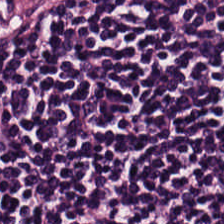Stain: H&E.
Resolution: 20× equivalent magnification.
Predominant tissue: lymphocytic infiltrate.
